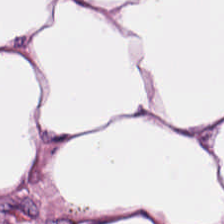H&E stain. Whole-slide-image patch. Classification = fat tissue.
